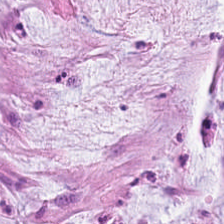Brightfield microscopy. 224×224 px patch. H&E stain — This patch shows mucus.
